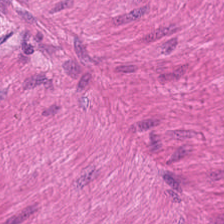H&E · FFPE tissue section. Smooth muscle.
